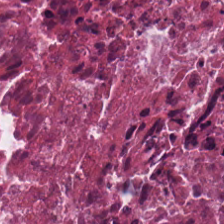Hematoxylin-and-eosin stained section. Tissue class — debris.
